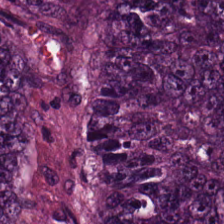Formalin-fixed paraffin-embedded section · hematoxylin-and-eosin stained section. The tissue class is tumor epithelium.
